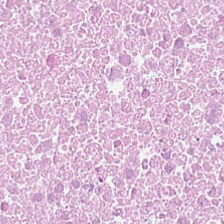Formalin-fixed paraffin-embedded section; H&E stain; 20× equivalent magnification. This patch shows cellular debris.
